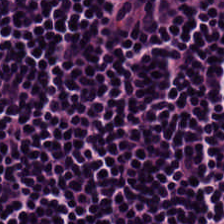Tissue class: lymphocyte aggregate.
